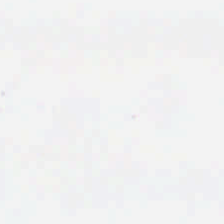This field is background (no tissue).
